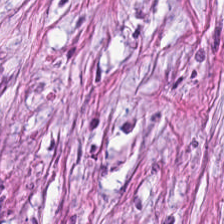Hematoxylin-and-eosin stained section — The tissue here is cancer-associated stroma.
